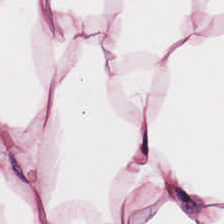H&E stain.
Predominant tissue: adipocytes.
